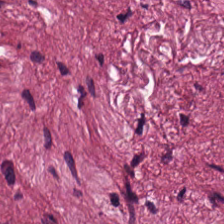224×224 pixel tile. Brightfield microscopy. Hematoxylin and eosin. Showing desmoplastic stroma.
